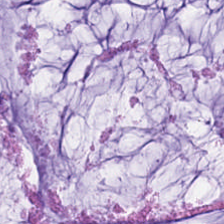Brightfield microscopy. Hematoxylin-and-eosin stained section — Tissue — mucin.
